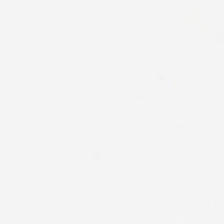H&E stain. 224×224 px patch. 0.5 microns per pixel.
Empty field — background.
